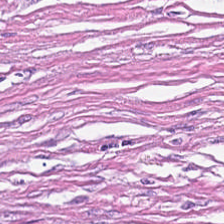The tissue here is tumor-associated stroma.
